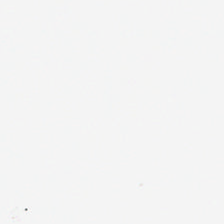H&E-stained tissue section · FFPE tissue section — Field content — background (no tissue).
